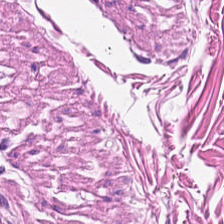H&E stain. Impression → smooth-muscle tissue.
